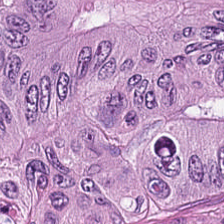The tissue type is adenocarcinoma.
